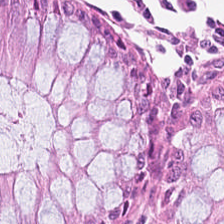20× equivalent magnification. FFPE. Hematoxylin and eosin — Q: What tissue type is shown here?
A: Normal colonic mucosa.
